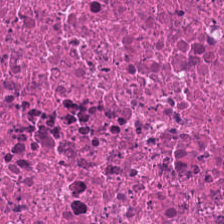Hematoxylin-and-eosin section: cellular debris.
